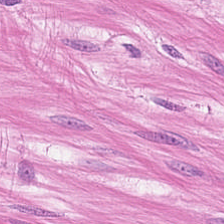Whole-slide-image patch · hematoxylin-and-eosin stained section · formalin-fixed paraffin-embedded section — Predominantly smooth muscle.
